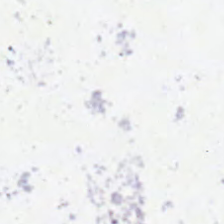Hematoxylin and eosin.
Histology → no tissue.
